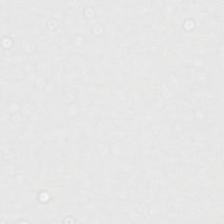Formalin-fixed paraffin-embedded section. H&E. 224×224 px tile — Content = empty background.
